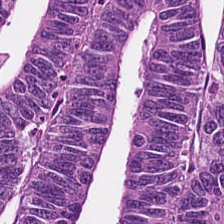FFPE · brightfield · H&E stain. {"tissue_type": "malignant epithelium"}
